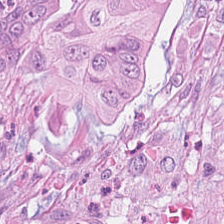Hematoxylin-and-eosin stained section; 0.5 µm per pixel.
The predominant tissue is colorectal adenocarcinoma epithelium.
